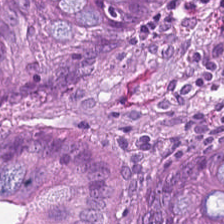H&E. Q: Classify this patch.
A: It is benign colonic mucosa.
